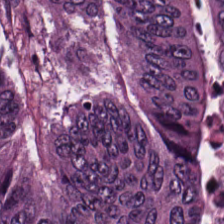Hematoxylin and eosin. Predominantly tumor epithelium.
